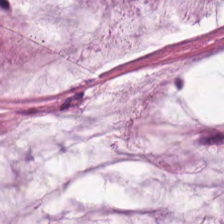Q: Identify the tissue.
A: The field shows mucus.
